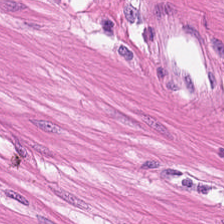H&E stain · 0.5 µm/px.
Showing smooth-muscle tissue.
